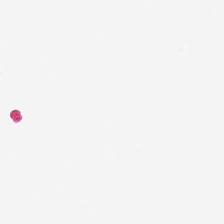H&E stain · 224×224 px tile. Field content — background.
